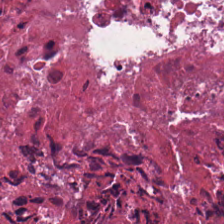0.5 µm per pixel · formalin-fixed paraffin-embedded section · H&E.
The tissue is necrotic debris.
